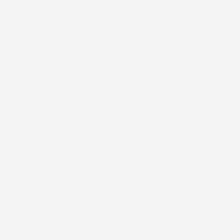H&E. 224×224 pixel tile. Field content: no tissue.
